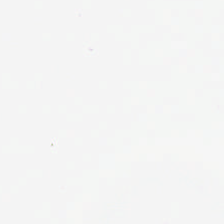H&E stain. Field content — no tissue.
